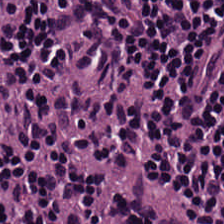H&E-stained tissue section. Brightfield microscopy.
Q: What is shown in this field?
A: This is lymphoid infiltrate.
